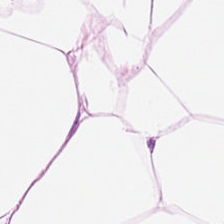H&E · whole-slide-image patch — The tissue class is adipose.
